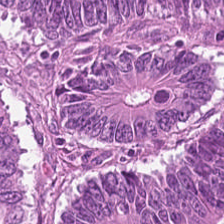0.5 µm/px · H&E-stained tissue section — {"tissue_type": "colorectal adenocarcinoma"}
